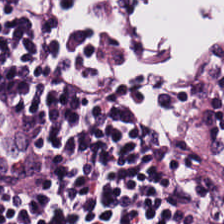0.5 µm/px. FFPE. H&E stain — {"tissue_type": "lymphocytic infiltrate"}
